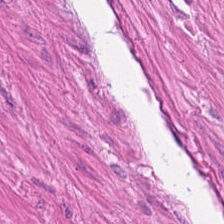Hematoxylin and eosin — Classification: smooth muscle.
